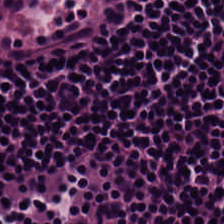H&E stain. Impression — lymphocytic infiltrate.
